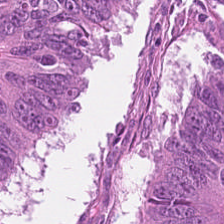H&E stain — Q: What does this patch show?
A: Malignant epithelium.
